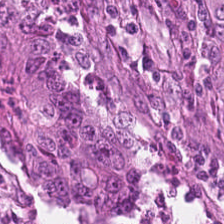224×224 px tile; 0.5 microns per pixel; hematoxylin-and-eosin stained section. Predominantly malignant epithelium.
